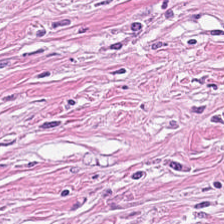Hematoxylin-and-eosin stained section. The tissue here is desmoplastic stroma.
